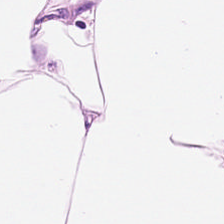Impression — adipose.
